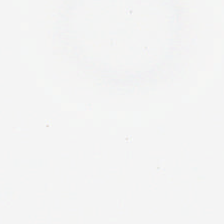Hematoxylin-and-eosin stained section.
Q: What is shown here?
A: It is background.
